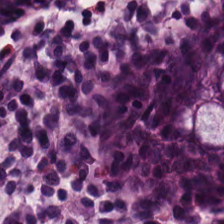WSI patch; H&E.
{"tissue_type": "normal colon mucosa"}
